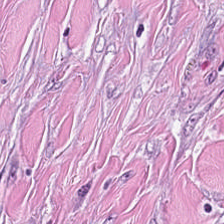This field is cancer-associated stroma.
